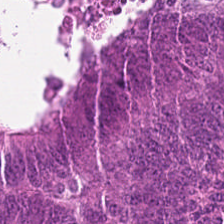Finding → tumor epithelium.
